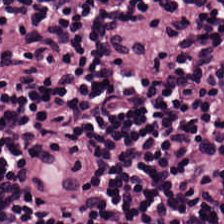Histology → lymphocytic infiltrate.
